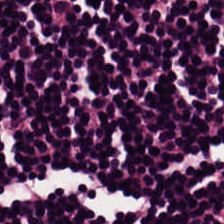Stain: H&E stain.
Acquisition: brightfield microscopy.
Classification: lymphocytic infiltrate.
